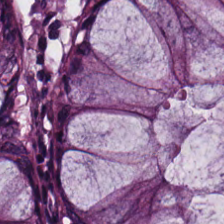H&E-stained tissue section. The tissue here is benign colonic mucosa.
